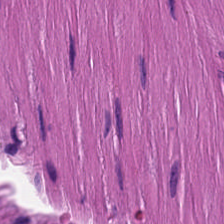FFPE tissue section · hematoxylin and eosin — Predominantly muscularis.
